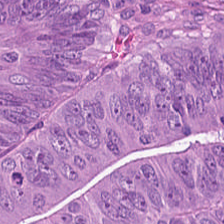Stain: H&E-stained tissue section.
Tissue: adenocarcinoma.
